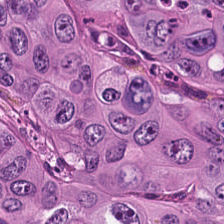H&E stain. 0.5 µm/px.
Showing colorectal adenocarcinoma.
